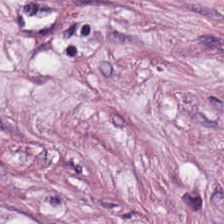H&E patch showing tumor stroma.
